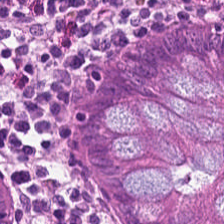Hematoxylin and eosin — Classification — normal colon mucosa.
